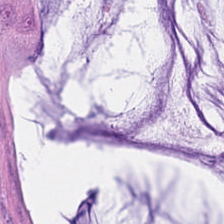Hematoxylin-and-eosin stained section. This field is mucin.
